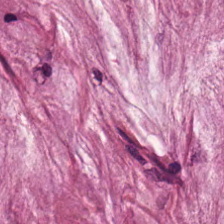H&E.
Impression — extracellular mucin.
